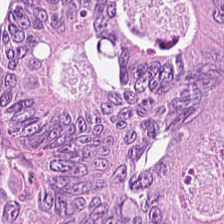Impression → tumor epithelium.
